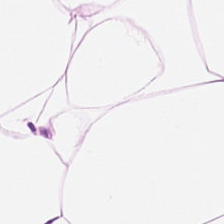H&E-stained section; the field shows adipose.
